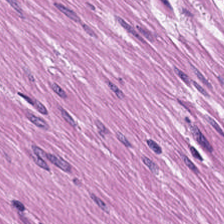Hematoxylin-and-eosin stained section — {"tissue_type": "muscularis"}
